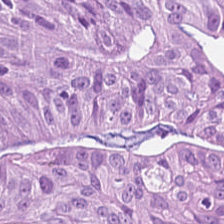This field is colorectal adenocarcinoma.
